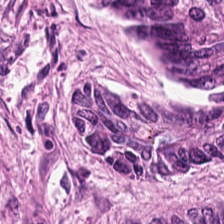Hematoxylin-and-eosin stained section.
Predominantly colorectal adenocarcinoma.
